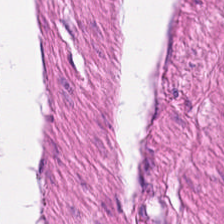Impression — muscularis.
